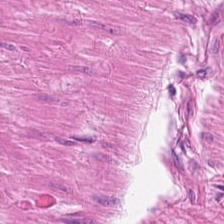H&E. {"tissue_type": "smooth muscle"}
